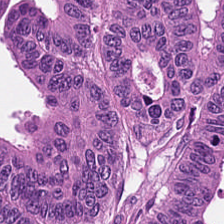Hematoxylin and eosin.
The predominant tissue is tumor epithelium.
